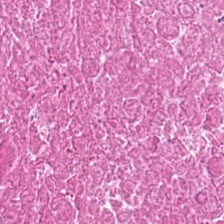Stain: H&E stain.
Tissue type: cellular debris.
